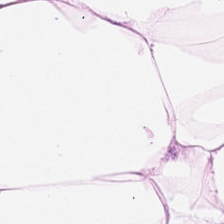Formalin-fixed paraffin-embedded section. H&E-stained tissue section.
Showing adipose.
